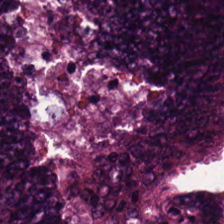H&E.
Tissue type — malignant epithelium.
